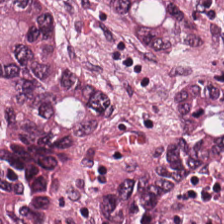0.5 µm per pixel · H&E-stained tissue section · FFPE.
Impression → malignant epithelium.
